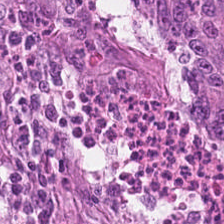Hematoxylin-and-eosin stained section. The tissue is malignant epithelium.
